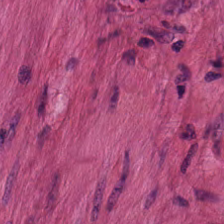Hematoxylin and eosin; WSI patch; 224×224 px patch — Tissue type — smooth muscle.
